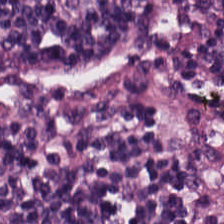Hematoxylin-and-eosin stained section — This patch shows lymphocytes.
